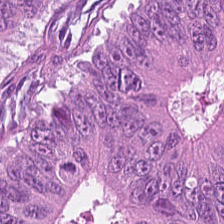Showing tumor epithelium.
